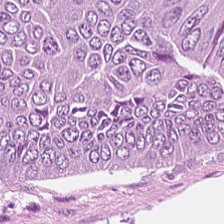Stain: H&E stain.
Predominant tissue: malignant epithelium.
